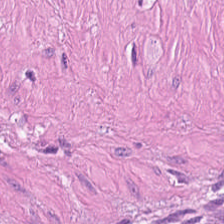Impression → smooth-muscle tissue.
